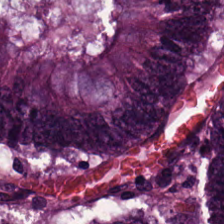H&E.
Predominantly colorectal adenocarcinoma epithelium.
